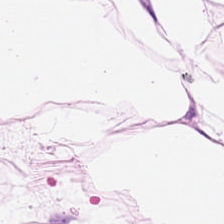FFPE. H&E. Brightfield microscopy — Predominantly adipocytes.
